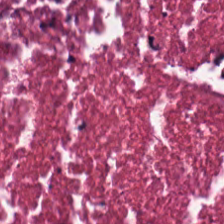H&E. The tissue class is cellular debris.
